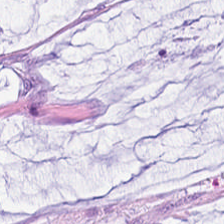H&E · 0.5 µm per pixel — Q: What is shown in this field?
A: Mucus.
